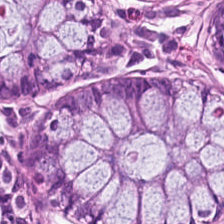H&E stain; 0.5 µm per pixel — This field is normal colon mucosa.
